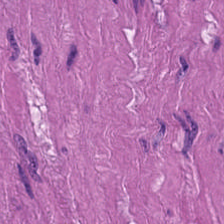Hematoxylin and eosin.
The predominant tissue is muscularis.
